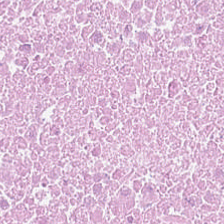Stain: hematoxylin-and-eosin stained section.
Preparation: FFPE.
Predominant tissue: debris.
